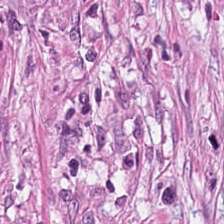Hematoxylin-and-eosin stained section.
This field is tumor stroma.
